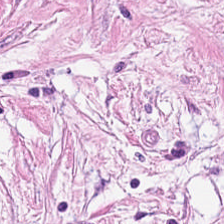H&E. Desmoplastic stroma.
